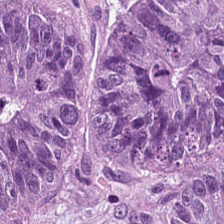0.5 µm/px · H&E — Tissue class = colorectal adenocarcinoma.
